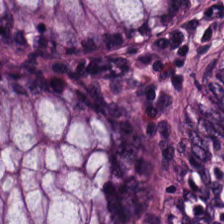H&E stain · FFPE · WSI patch.
Showing normal colonic mucosa.
